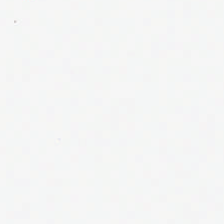The field content is background.
